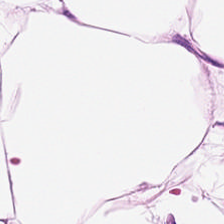Hematoxylin and eosin — Finding → adipose tissue.
